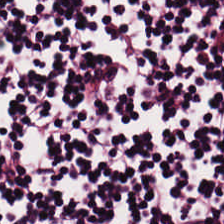Stain: H&E stain.
Predominant tissue: lymphocyte aggregate.
